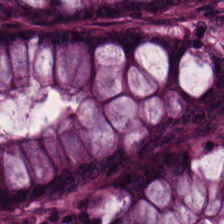Hematoxylin-and-eosin stained section. {"tissue_type": "benign colonic mucosa"}
